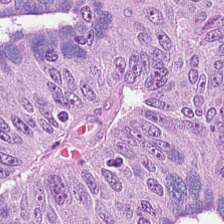Hematoxylin-and-eosin stained section. 0.5 µm per pixel. 224×224 pixel tile — This field is malignant epithelium.
